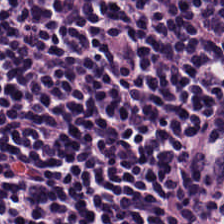Q: What is shown in this field?
A: This is lymphocytic infiltrate.
